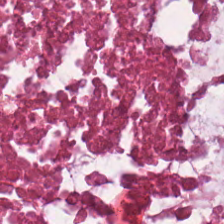H&E. 0.5 µm per pixel. Tissue = necrotic debris.
